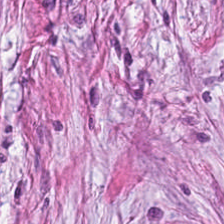H&E stain; formalin-fixed paraffin-embedded section; 224×224 pixel tile. Showing tumor-associated stroma.
